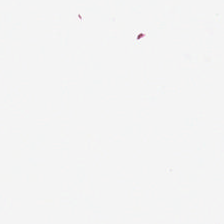H&E-stained tissue section.
No tissue.
